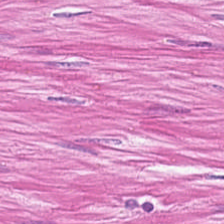Tissue class: smooth-muscle tissue.
